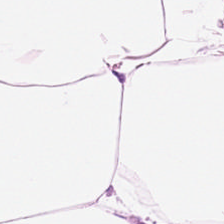Q: Identify the tissue.
A: This is fat tissue.
